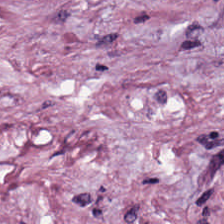Hematoxylin-and-eosin stained section · 20× equivalent magnification — Predominantly tumor stroma.
